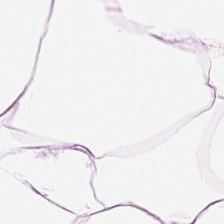224×224 px patch · H&E stain — Showing fat tissue.
